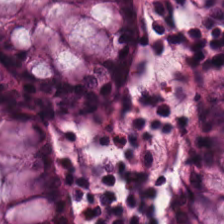Hematoxylin-and-eosin stained section · 224×224 px patch — The classification is normal colon mucosa.
